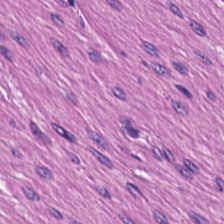Stain: H&E stain.
Tissue type: muscularis.
